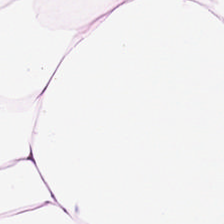Hematoxylin and eosin. Impression — adipose.
